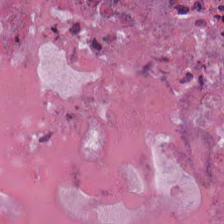224×224 pixel tile. Hematoxylin and eosin. The tissue here is debris.
